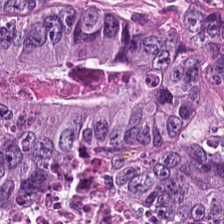Stain: hematoxylin-and-eosin stained section.
Preparation: formalin-fixed paraffin-embedded section.
Acquisition: whole-slide-image patch.
Predominant tissue: tumor epithelium.
